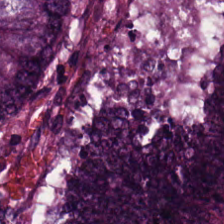224×224 pixel tile · hematoxylin-and-eosin stained section — This patch shows colorectal adenocarcinoma epithelium.
